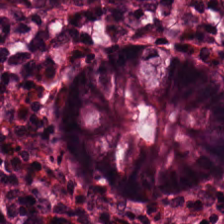Hematoxylin-and-eosin stained section · 0.5 µm per pixel · FFPE.
Q: What is shown in this field?
A: The field shows benign colonic mucosa.
